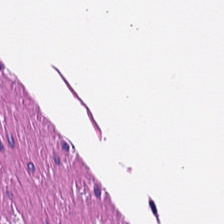Hematoxylin-and-eosin stained section.
Tissue — muscularis.
